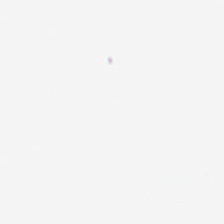224×224 px patch; whole-slide-image patch; H&E. Q: What is shown here?
A: The field shows background.
